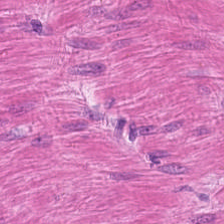224×224 pixel tile; hematoxylin and eosin. Histology — smooth-muscle tissue.
